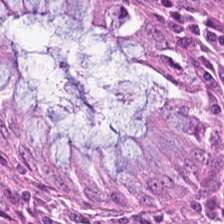Hematoxylin-and-eosin stained section. Impression — benign colonic mucosa.
